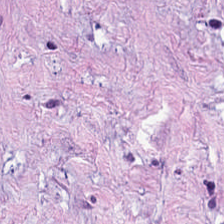Hematoxylin and eosin · FFPE tissue section — Q: What does this patch show?
A: This is desmoplastic stroma.
